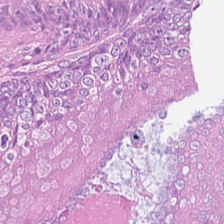Tissue type — colorectal adenocarcinoma epithelium.
